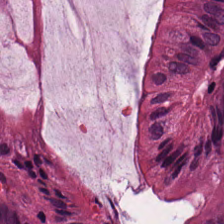H&E patch showing normal colon mucosa.
